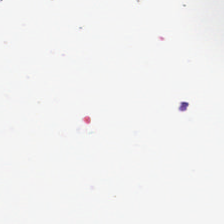H&E stain · FFPE tissue section. This patch shows no tissue.
